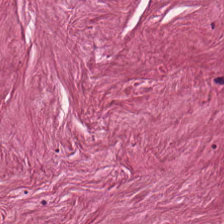H&E stain. Q: What tissue type is shown here?
A: This is tumor-associated stroma.
